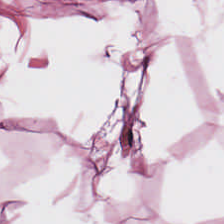224×224 px patch; H&E stain; 0.5 µm/px.
Q: What is the predominant tissue type?
A: Adipose tissue.
